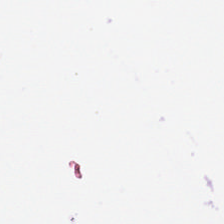This patch shows background (no tissue).
